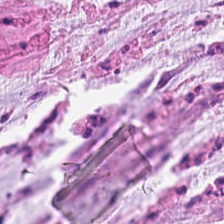H&E. {"tissue_type": "mucin"}
